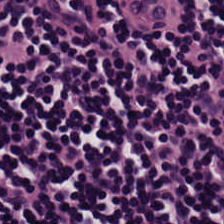Hematoxylin-and-eosin stained section. Finding — lymphocyte aggregate.
